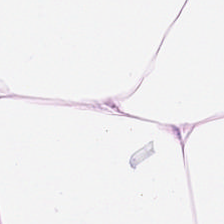FFPE tissue section. H&E-stained tissue section. 0.5 microns per pixel.
The tissue class is adipose.
